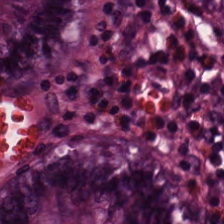This field is normal colon mucosa.
